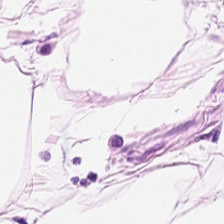224×224 px tile. H&E stain — Adipose.
